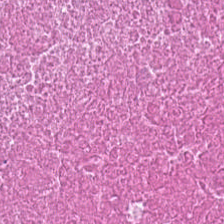Hematoxylin-and-eosin stained section.
Cellular debris.
